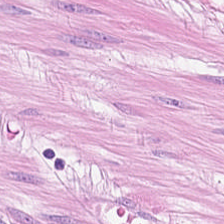{"tissue_type": "smooth-muscle tissue"}
